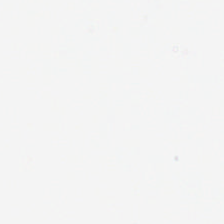H&E stain. Formalin-fixed paraffin-embedded section. 0.5 µm per pixel.
The field content is empty background.
